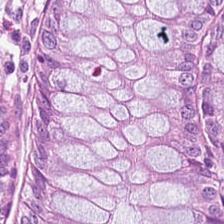H&E-stained tissue section.
Histology — normal colonic mucosa.
